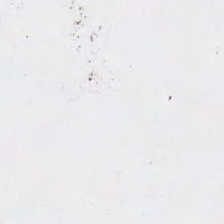Stain: hematoxylin-and-eosin stained section.
Content: background (no tissue).
